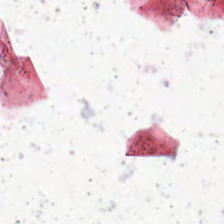Formalin-fixed paraffin-embedded section. 0.5 µm/px. H&E-stained tissue section — Empty background.
